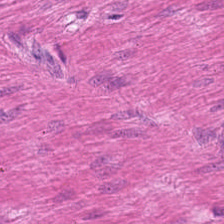H&E-stained tissue section; brightfield microscopy. Smooth-muscle tissue.
